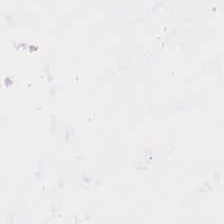H&E stain. Content — background (no tissue).
